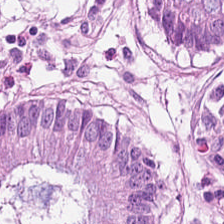H&E. Tissue: non-neoplastic colon mucosa.
